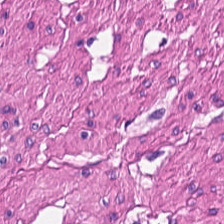The predominant tissue is smooth muscle.
